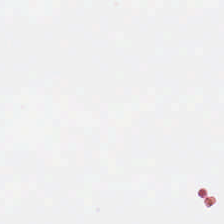H&E-stained tissue section. Empty field — background (no tissue).
